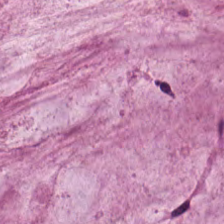Hematoxylin and eosin. WSI patch — {"tissue_type": "extracellular mucin"}
